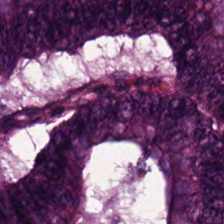H&E.
Predominant tissue — malignant epithelium.
